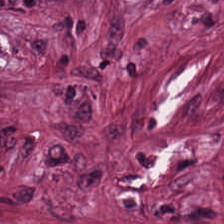H&E — Tissue type — tumor-associated stroma.
